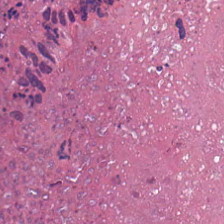224×224 px tile; hematoxylin-and-eosin stained section. Tissue class = cellular debris.
